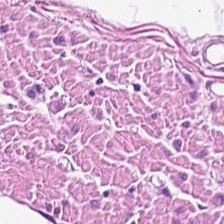Stain: H&E stain.
Tissue type: smooth-muscle tissue.
